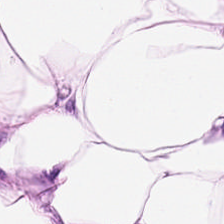Predominant tissue — adipose tissue.
